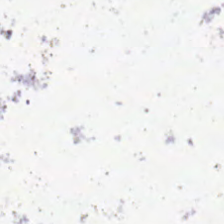Field content — empty background.
